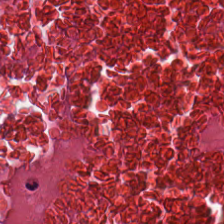Hematoxylin-and-eosin stained section.
The tissue here is debris.
